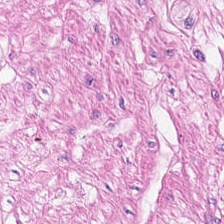Stain: H&E-stained tissue section.
Resolution: 0.5 microns per pixel.
Tile size: 224×224 px tile.
Tissue: smooth muscle.
